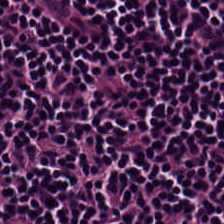H&E.
Finding — lymphocytes.
